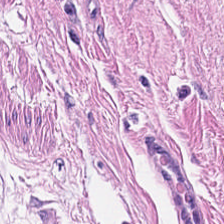Stain: hematoxylin and eosin.
Resolution: 0.5 µm/px.
Tissue class: smooth muscle.
